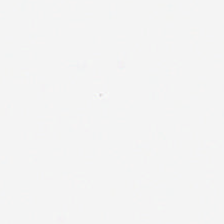H&E-stained tissue section — Background — no tissue in this field.
